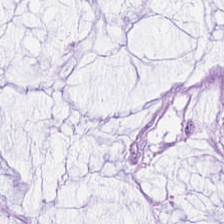Hematoxylin-and-eosin stained section — Tissue: extracellular mucin.
